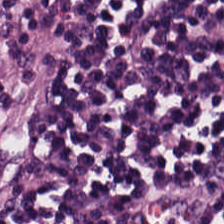Q: What type of tissue is this?
A: The field shows lymphoid infiltrate.
